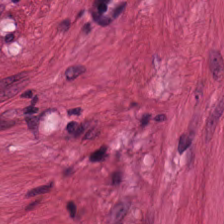Stain: hematoxylin-and-eosin stained section.
Resolution: 0.5 microns per pixel.
Preparation: formalin-fixed paraffin-embedded section.
Tissue type: smooth muscle.
